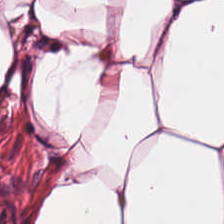Hematoxylin-and-eosin stained section · 224×224 px tile.
Fat tissue.
